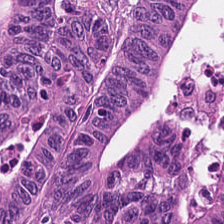H&E stain. Tissue = tumor epithelium.
